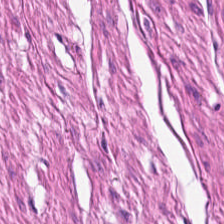Hematoxylin-and-eosin stained section. Finding — muscularis.
